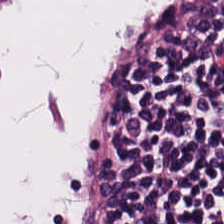The tissue is lymphocyte aggregate.
